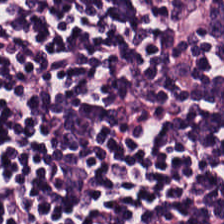H&E stain — Tissue type: lymphoid infiltrate.
